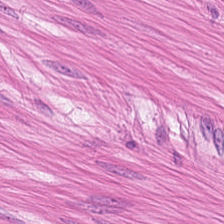H&E stain · 224×224 px patch.
Predominantly muscularis.
